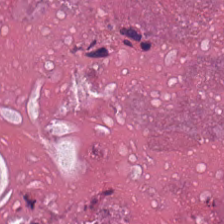H&E.
Impression — debris.
